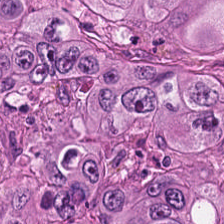Stain: H&E stain.
Preparation: FFPE.
Resolution: 0.5 microns per pixel.
Predominant tissue: colorectal adenocarcinoma epithelium.
